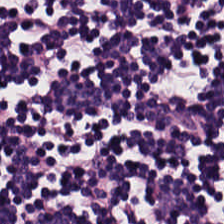H&E stain. 224×224 pixel tile. Showing lymphoid infiltrate.
